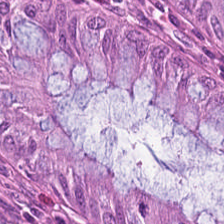H&E; FFPE. This field is benign colonic mucosa.
